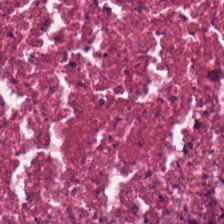Hematoxylin-and-eosin stained section.
Cellular debris.
